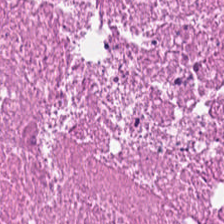Hematoxylin-and-eosin stained section. Q: What does this patch show?
A: This is necrotic debris.
